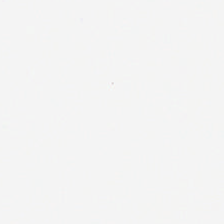Hematoxylin and eosin. The classification is empty background.
